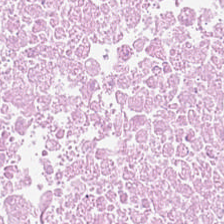H&E · 20× equivalent magnification.
{"tissue_type": "necrotic debris"}
